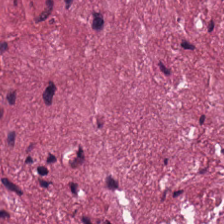224×224 px patch. Hematoxylin-and-eosin stained section — Tissue: tumor stroma.
